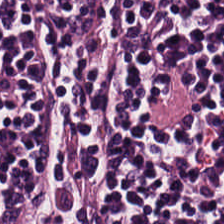Hematoxylin-and-eosin stained section.
Q: Classify this patch.
A: Lymphocyte aggregate.
